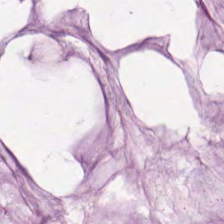H&E. Tissue = mucus.
